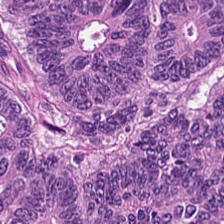Hematoxylin and eosin. Q: What is shown in this field?
A: The field shows malignant epithelium.
